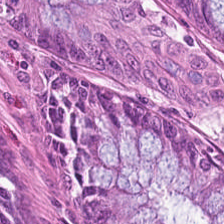Stain: H&E stain.
Classification: normal colon mucosa.
